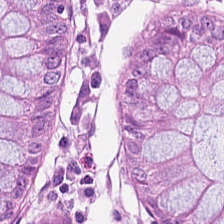Hematoxylin and eosin — Q: Identify the tissue.
A: It is benign colonic mucosa.
